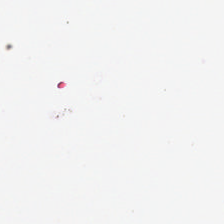Hematoxylin-and-eosin stained section.
This patch shows background.
